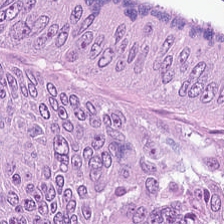H&E. Predominantly tumor epithelium.
